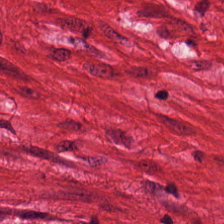H&E — The tissue type is smooth muscle.
